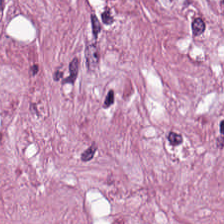Hematoxylin and eosin — Predominantly desmoplastic stroma.
